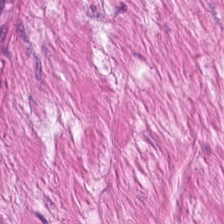20× equivalent magnification · hematoxylin-and-eosin stained section — Smooth-muscle tissue.
